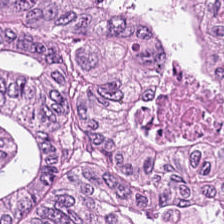Hematoxylin and eosin. The predominant tissue is tumor epithelium.
